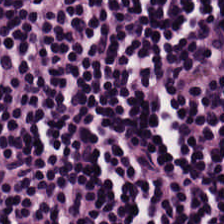224×224 px patch. Brightfield microscopy. H&E. Q: What is shown here?
A: This is lymphoid infiltrate.
